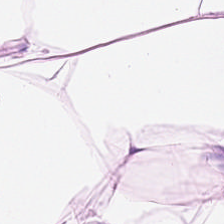224×224 px tile; FFPE; H&E-stained tissue section.
Predominant tissue: adipocytes.
